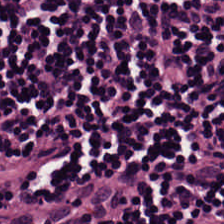H&E. 224×224 pixel tile. Lymphocytic infiltrate.
